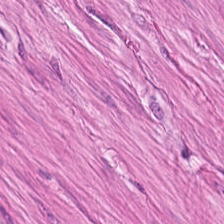H&E stain. Predominantly muscularis.
